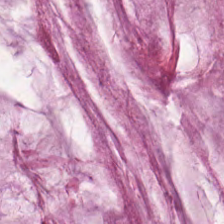Stain: hematoxylin and eosin.
Tissue class: mucus.
